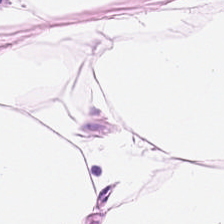FFPE tissue section. H&E. Tissue — fat tissue.
